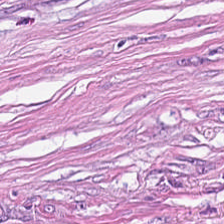The predominant tissue is desmoplastic stroma.
